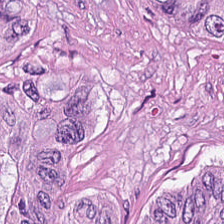Hematoxylin and eosin. Q: What does this patch show?
A: This is tumor epithelium.
